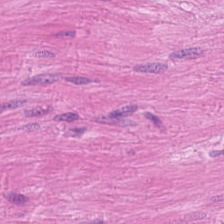Tissue class: smooth muscle.
